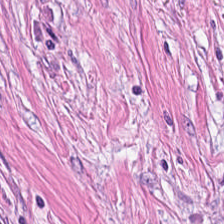The predominant tissue is cancer-associated stroma.
